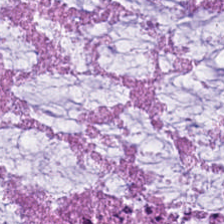0.5 µm per pixel; H&E stain. The predominant tissue is mucin.
